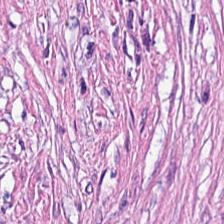H&E stain.
Tissue type = tumor stroma.
